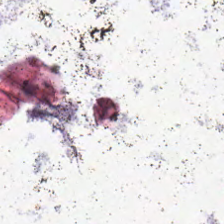Hematoxylin-and-eosin stained section; 224×224 px tile. Impression — background.
